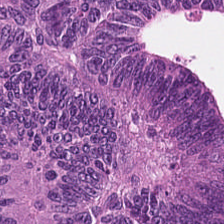FFPE tissue section. H&E. Showing colorectal adenocarcinoma.
